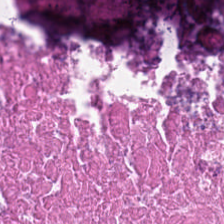The tissue is debris.
